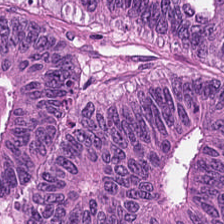Stain: hematoxylin and eosin.
Classification: colorectal adenocarcinoma.
